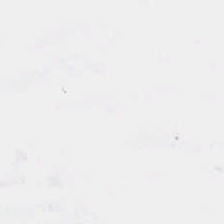0.5 µm per pixel · H&E — Histology → background (no tissue).
